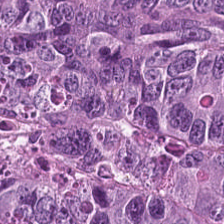H&E stain.
Colorectal adenocarcinoma.
